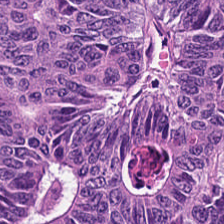20× equivalent magnification. Hematoxylin-and-eosin stained section — The predominant tissue is malignant epithelium.
